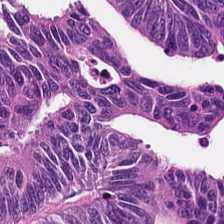Hematoxylin and eosin; 224×224 px patch — Q: What is shown in this field?
A: This is tumor epithelium.
